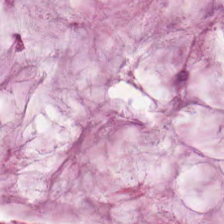H&E-stained tissue section.
This patch shows mucus.
